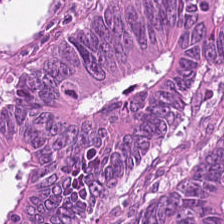Hematoxylin-and-eosin stained section. The tissue here is malignant epithelium.
